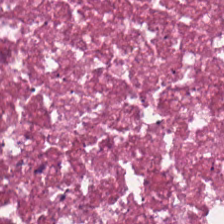Formalin-fixed paraffin-embedded section; H&E stain. The tissue is cellular debris.
